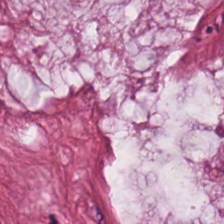H&E patch showing extracellular mucin.
